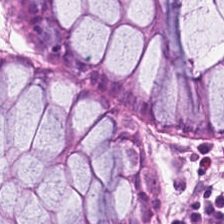Predominantly normal colon mucosa.
